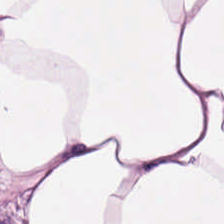Hematoxylin-and-eosin stained section — Tissue = fat tissue.
